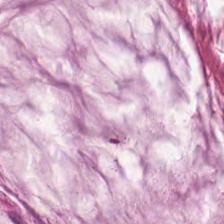Hematoxylin-and-eosin stained section. 224×224 px patch. This patch shows extracellular mucin.
